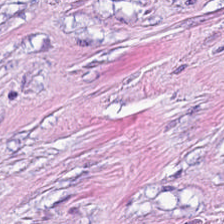Hematoxylin-and-eosin stained section · 224×224 px tile — Classification = desmoplastic stroma.
